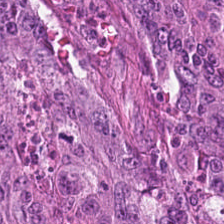Q: What is shown in this field?
A: Colorectal adenocarcinoma.
